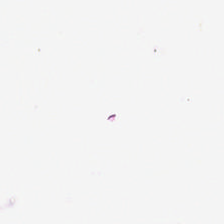Stain: hematoxylin and eosin.
Field content: no tissue.
